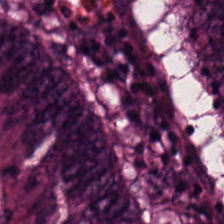Hematoxylin-and-eosin stained section. 224×224 pixel tile. Brightfield. Q: Identify the tissue.
A: Colorectal adenocarcinoma.
